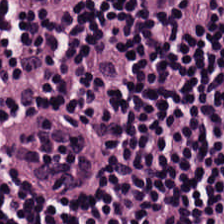Hematoxylin-and-eosin stained section.
Tissue type: lymphocytic infiltrate.
